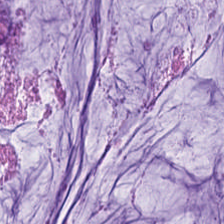H&E.
The classification is mucus.
